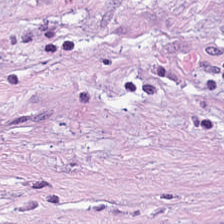FFPE; H&E stain. Finding → cancer-associated stroma.
